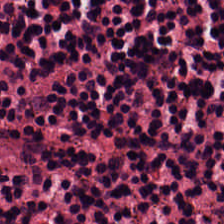H&E stain — Histology → lymphocyte aggregate.
